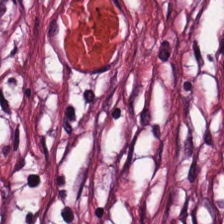H&E. The predominant tissue is cancer-associated stroma.
